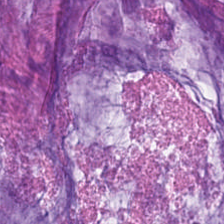Hematoxylin-and-eosin stained section. Q: Identify the tissue.
A: Mucin.
